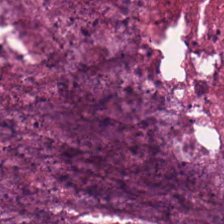Hematoxylin-and-eosin stained section. 0.5 µm/px. FFPE tissue section — Tissue class: necrotic debris.
